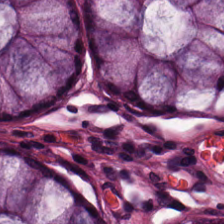Hematoxylin and eosin.
Predominant tissue — benign colonic mucosa.
